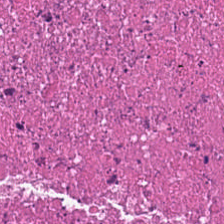Stain: hematoxylin-and-eosin stained section.
Preparation: FFPE tissue section.
Predominant tissue: debris.
